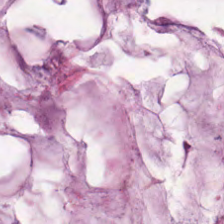Hematoxylin and eosin. 224×224 pixel tile.
Mucus.
